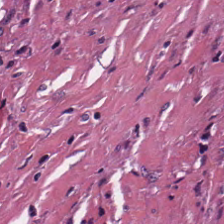Tissue: cellular debris.
